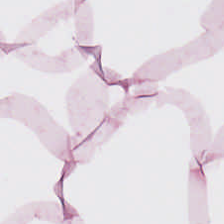Hematoxylin-and-eosin stained section. 224×224 px tile. Predominantly adipose tissue.
